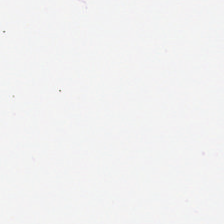Background — no tissue in this field.
